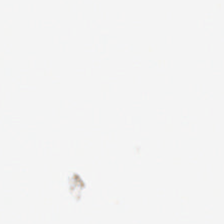WSI patch. H&E-stained tissue section. Q: What does this patch show?
A: Background.
